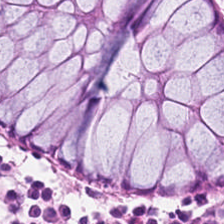H&E — Q: What type of tissue is this?
A: The field shows normal colon mucosa.
